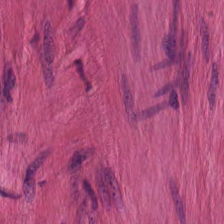224×224 px tile. H&E stain. FFPE tissue section.
This field is muscularis.
